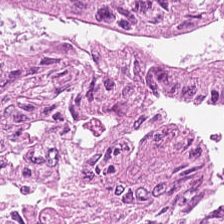Hematoxylin and eosin · 0.5 microns per pixel · formalin-fixed paraffin-embedded section — The predominant tissue is tumor epithelium.
